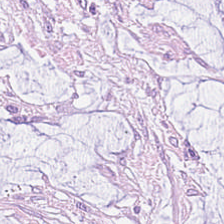Hematoxylin-and-eosin stained section · FFPE — This patch shows mucin.
